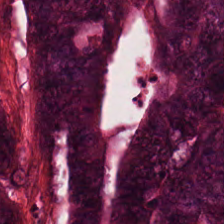Q: What is shown in this field?
A: This is colorectal adenocarcinoma.
